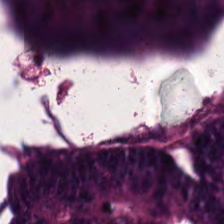H&E stain; 0.5 µm/px.
Tissue class: colorectal adenocarcinoma epithelium.
